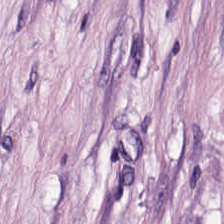H&E-stained tissue section.
Impression → cancer-associated stroma.
